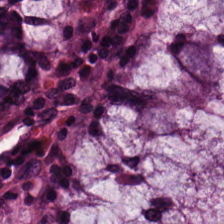Showing benign colonic mucosa.
